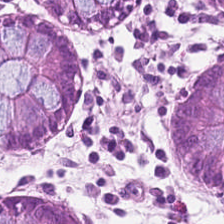Stain: hematoxylin and eosin.
Tissue: non-neoplastic colon mucosa.
